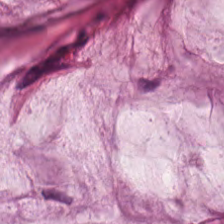Classification — mucus.
